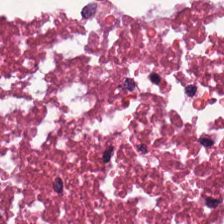H&E stain. The tissue is necrotic debris.
